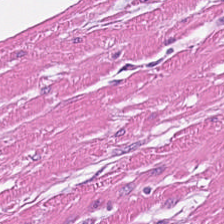The classification is smooth muscle.
